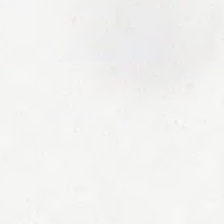FFPE tissue section; brightfield microscopy; hematoxylin-and-eosin stained section. Empty field — no tissue.
